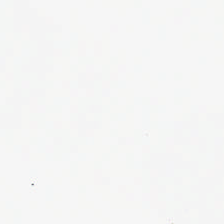H&E; 224×224 px patch — Q: Classify this patch.
A: Empty background.
